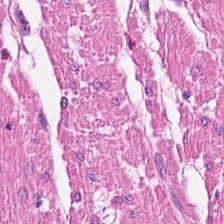Tissue class — smooth-muscle tissue.
